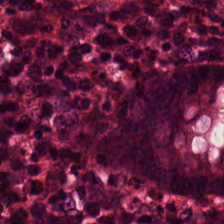FFPE tissue section; hematoxylin and eosin — Non-neoplastic colon mucosa.
